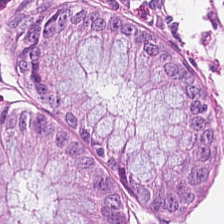Hematoxylin-and-eosin stained section; whole-slide-image patch; FFPE tissue section. Histology → normal colonic mucosa.
